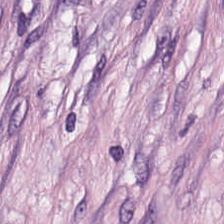Q: What type of tissue is this?
A: This is tumor-associated stroma.
